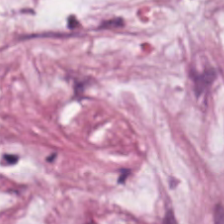H&E · 224×224 pixel tile.
The tissue class is tumor stroma.
